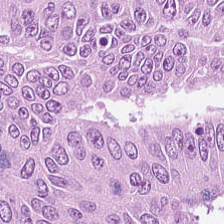0.5 microns per pixel · H&E-stained tissue section — Histology — malignant epithelium.
